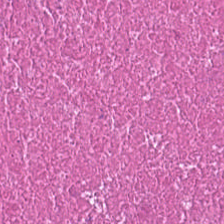Hematoxylin and eosin.
Q: What is shown in this field?
A: The field shows debris.
